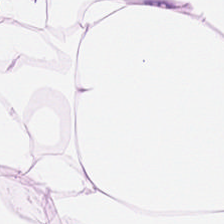H&E-stained tissue section; 224×224 pixel tile.
This field is adipocytes.
